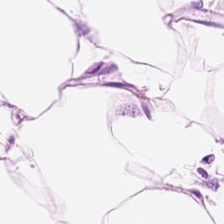H&E-stained tissue section. The predominant tissue is fat tissue.
